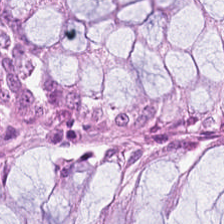H&E; 224×224 px patch. Tissue — non-neoplastic colon mucosa.
